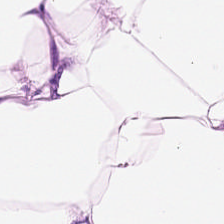Stain: H&E stain.
Resolution: 0.5 µm per pixel.
Classification: adipose tissue.
